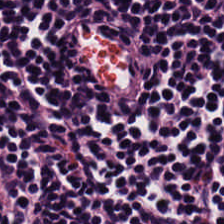Stain: H&E stain.
Tissue type: lymphocytic infiltrate.
